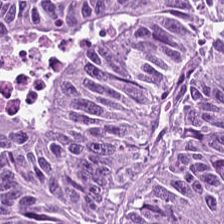Hematoxylin-and-eosin section: colorectal adenocarcinoma.
